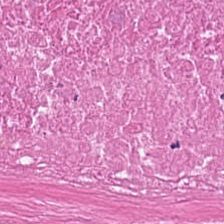Hematoxylin and eosin; brightfield. Predominant tissue = necrotic debris.
